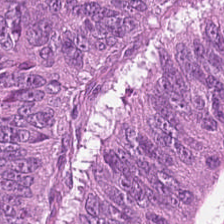Hematoxylin-and-eosin section: malignant epithelium.
